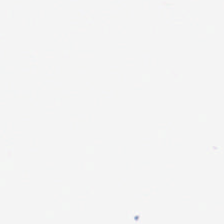Brightfield microscopy; 224×224 px patch; hematoxylin-and-eosin stained section.
No tissue present; background only.
